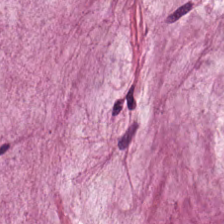20× equivalent magnification. H&E-stained tissue section. 224×224 pixel tile — Histology — mucin.
